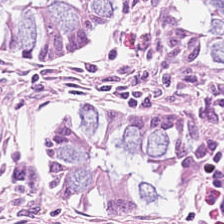Hematoxylin and eosin.
Impression — benign colonic mucosa.
